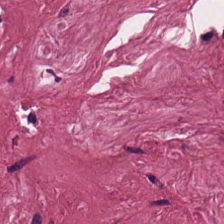Hematoxylin and eosin — The predominant tissue is tumor-associated stroma.
